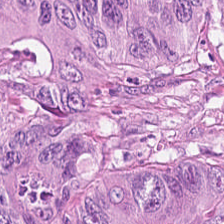FFPE · 0.5 microns per pixel · H&E — Predominantly colorectal adenocarcinoma epithelium.
